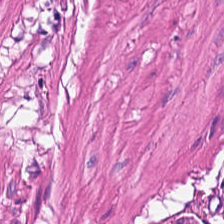H&E.
Predominantly muscularis.
